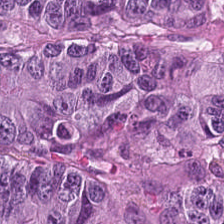FFPE tissue section · hematoxylin and eosin · 20× equivalent magnification — Q: What does this patch show?
A: This is colorectal adenocarcinoma.
